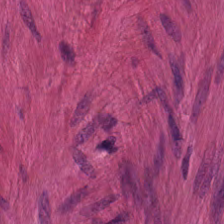H&E stain · 224×224 pixel tile · whole-slide-image patch — The tissue class is muscularis.
